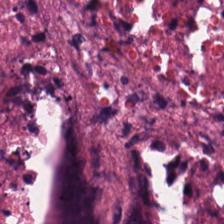0.5 µm/px · FFPE tissue section · hematoxylin and eosin.
Q: What tissue is shown?
A: The field shows cellular debris.
